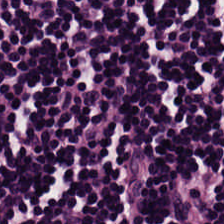Predominantly lymphocytes.
